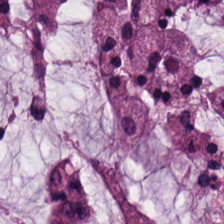Impression → extracellular mucin.
